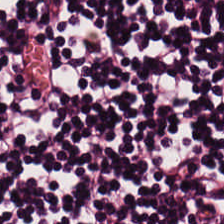Tissue: lymphocytes.
